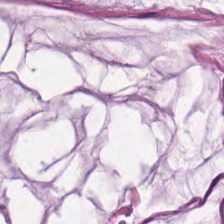This patch shows extracellular mucin.
